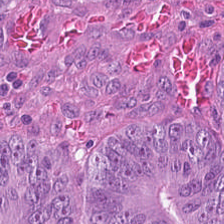Stain: hematoxylin and eosin.
Predominant tissue: tumor epithelium.
